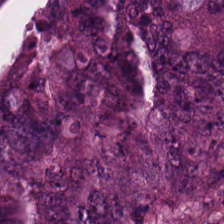Hematoxylin-and-eosin stained section; formalin-fixed paraffin-embedded section.
Tissue type = colorectal adenocarcinoma.
